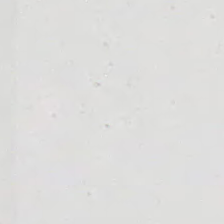Brightfield microscopy · 224×224 px patch · hematoxylin-and-eosin stained section.
Q: What is shown here?
A: The field shows no tissue.
